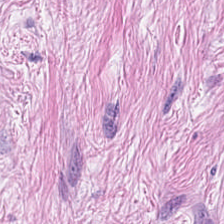Stain: hematoxylin-and-eosin stained section.
Preparation: FFPE tissue section.
Tissue class: cancer-associated stroma.
